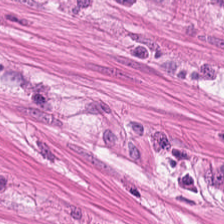Classification: muscularis.
